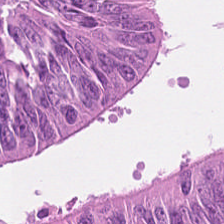Hematoxylin-and-eosin stained section. 224×224 px patch. Brightfield microscopy.
Impression → tumor epithelium.
